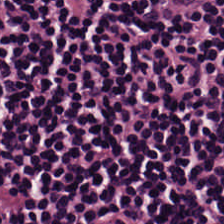Tissue class = lymphoid infiltrate.
